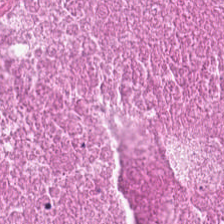H&E — debris.
